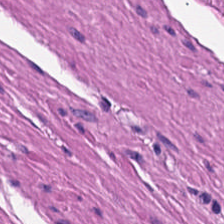Predominant tissue: smooth muscle.
